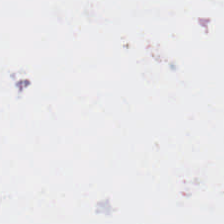Stain: H&E stain.
Content: background.
